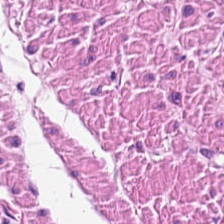H&E-stained tissue section. Brightfield — Showing smooth-muscle tissue.
